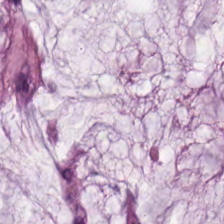Stain: H&E-stained tissue section.
Predominant tissue: extracellular mucin.
